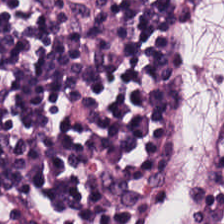Classification — lymphocyte aggregate.
